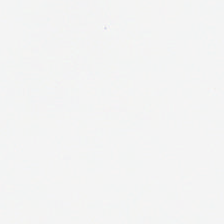Stain: H&E.
Content: background (no tissue).
